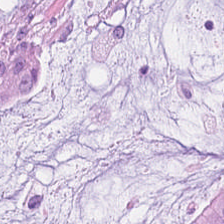Stain: H&E-stained tissue section.
Tissue type: extracellular mucin.
